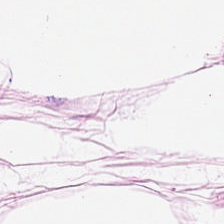0.5 µm per pixel · H&E. Tissue class — adipocytes.
